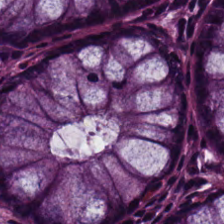Q: Classify this patch.
A: Normal colonic mucosa.
